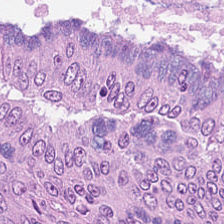H&E stain — Impression — colorectal adenocarcinoma.
